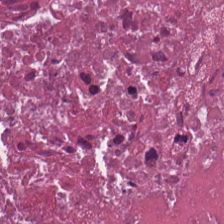Hematoxylin and eosin. Whole-slide-image patch. 0.5 µm per pixel. Q: What is the predominant tissue type?
A: The field shows cellular debris.
